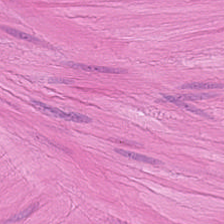H&E stain; 224×224 px tile; FFPE tissue section. Muscularis.
